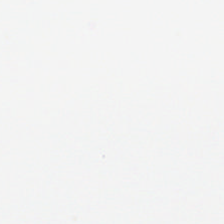H&E stain — Histology → background (no tissue).
